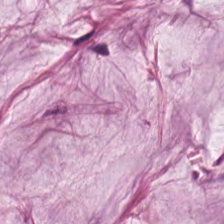Hematoxylin and eosin. FFPE. 0.5 µm per pixel. Q: What does this patch show?
A: The field shows extracellular mucin.
